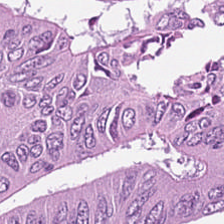Hematoxylin-and-eosin stained section; brightfield — {"tissue_type": "tumor epithelium"}
